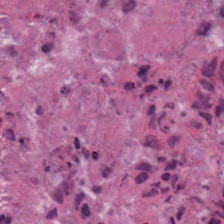Hematoxylin-and-eosin stained section. WSI patch.
{"tissue_type": "debris"}
